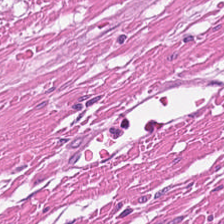H&E-stained tissue section. 0.5 microns per pixel. This patch shows smooth-muscle tissue.
